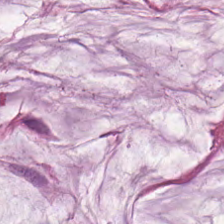Hematoxylin-and-eosin stained section; brightfield; 0.5 µm per pixel — Tissue type = extracellular mucin.
